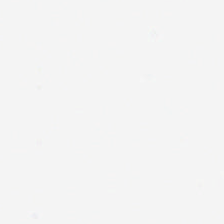Hematoxylin-and-eosin stained section · brightfield microscopy.
Content — background.
